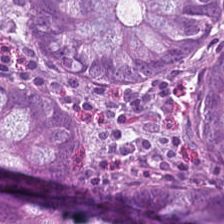The predominant tissue is normal colonic mucosa.
